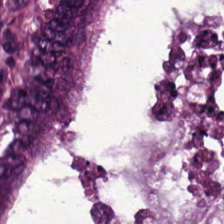H&E-stained tissue section.
{"tissue_type": "colorectal adenocarcinoma"}
